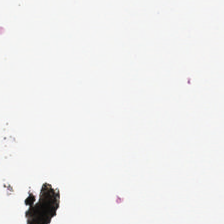Stain: H&E stain.
Field content: empty background.
